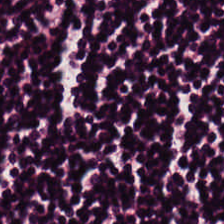This field is lymphocytic infiltrate.
